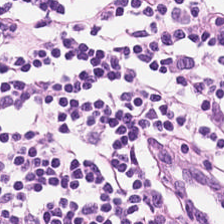Hematoxylin-and-eosin stained section. Tissue type — lymphoid infiltrate.
